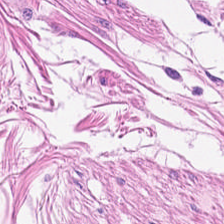FFPE. H&E-stained tissue section.
Histology → muscularis.
